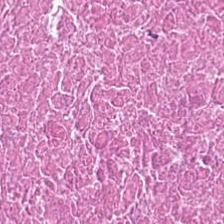The predominant tissue is necrotic debris.
